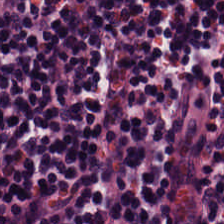{"tissue_type": "lymphoid infiltrate"}
